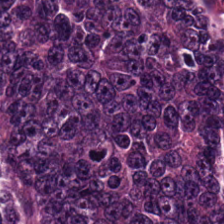Brightfield microscopy; hematoxylin and eosin.
Tissue — adenocarcinoma.
